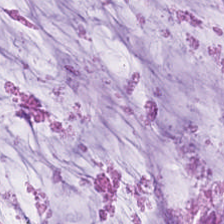H&E · 224×224 px tile — {"tissue_type": "mucus"}
